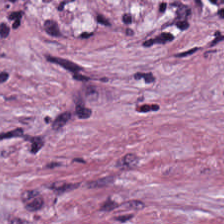H&E stain. Showing cancer-associated stroma.
